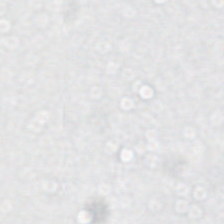H&E stain.
Field content = empty background.
